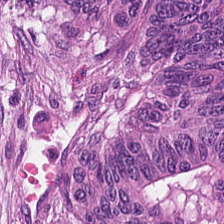0.5 µm per pixel · H&E-stained tissue section. Q: Classify this patch.
A: It is colorectal adenocarcinoma epithelium.
